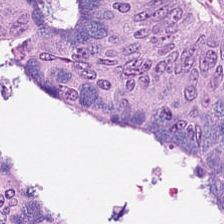224×224 px patch. Hematoxylin and eosin.
{"tissue_type": "adenocarcinoma"}
